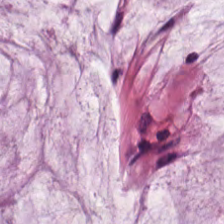Hematoxylin and eosin.
Showing extracellular mucin.
